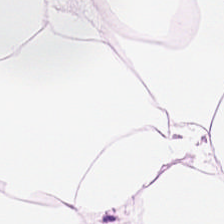H&E stain; brightfield microscopy — Showing adipose.
